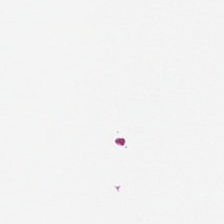Hematoxylin and eosin; FFPE. Classification: empty background.
